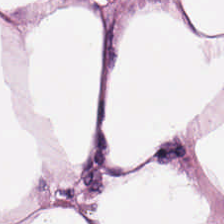H&E — Predominant tissue = adipose tissue.
